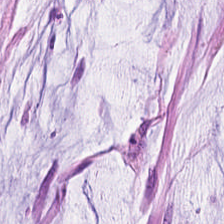Predominantly mucin.
